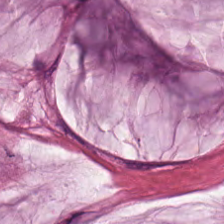H&E stain; 0.5 µm/px.
Tissue class — extracellular mucin.
